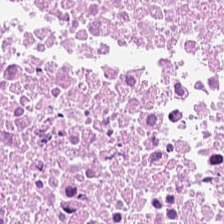Stain: hematoxylin and eosin.
Tile size: 224×224 px patch.
Classification: necrotic debris.
